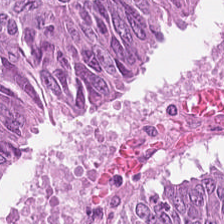H&E stain. Showing colorectal adenocarcinoma.
